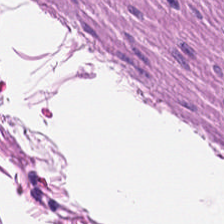Q: What does this patch show?
A: The field shows smooth-muscle tissue.
